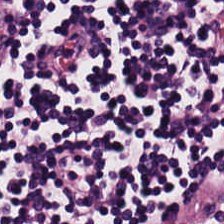Predominant tissue: lymphocyte aggregate.
